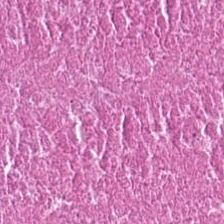Hematoxylin-and-eosin stained section; FFPE. {"tissue_type": "necrotic debris"}
